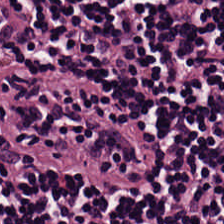Hematoxylin and eosin — Showing lymphocytic infiltrate.
